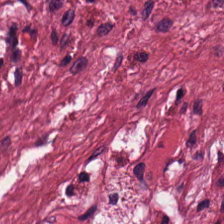Stain: H&E-stained tissue section.
Resolution: 0.5 µm/px.
Predominant tissue: cancer-associated stroma.
